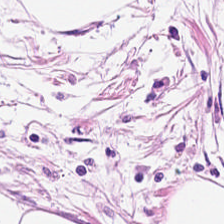Predominantly adipocytes.
